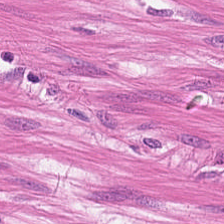H&E stain — Q: What does this patch show?
A: This is smooth muscle.
